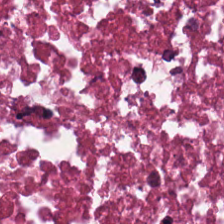Classification: necrotic debris.
